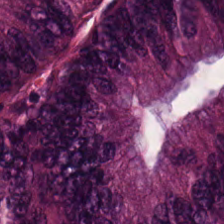Hematoxylin and eosin. {"tissue_type": "colorectal adenocarcinoma epithelium"}
